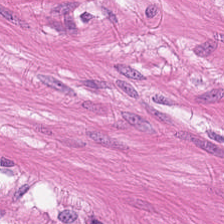Stain: hematoxylin-and-eosin stained section.
Tile size: 224×224 px tile.
Predominant tissue: muscularis.
